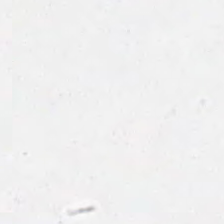20× equivalent magnification; hematoxylin-and-eosin stained section — Content: background.
